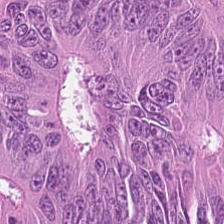0.5 µm/px; H&E stain — Showing colorectal adenocarcinoma.
